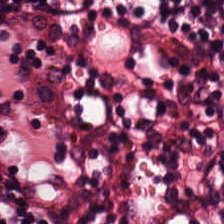Tissue — lymphocytes.
